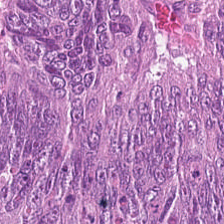Predominant tissue — malignant epithelium.
